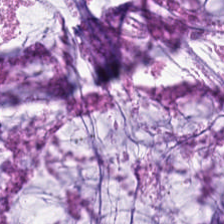H&E — Q: Identify the tissue.
A: Mucus.
